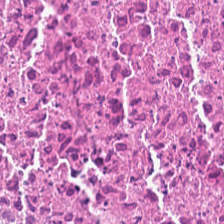Hematoxylin-and-eosin stained section.
Tissue type = necrotic debris.
